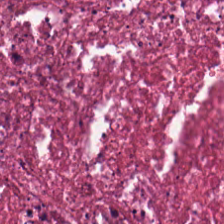Hematoxylin-and-eosin stained section — {"tissue_type": "necrotic debris"}
